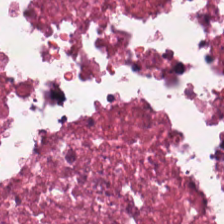H&E. FFPE tissue section. 20× equivalent magnification. The predominant tissue is cellular debris.
